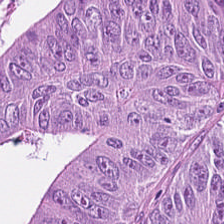Hematoxylin-and-eosin stained section; 20× equivalent magnification — Q: What is shown in this field?
A: The field shows tumor epithelium.
